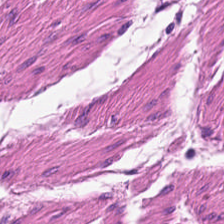H&E-stained tissue section showing muscularis.
